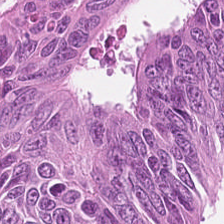H&E-stained tissue section.
Predominant tissue — colorectal adenocarcinoma.
